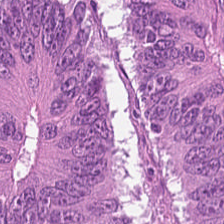H&E-stained tissue section — Tissue class — adenocarcinoma.
